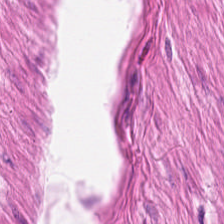Hematoxylin-and-eosin stained section. WSI patch. 0.5 µm per pixel — Predominantly smooth-muscle tissue.
